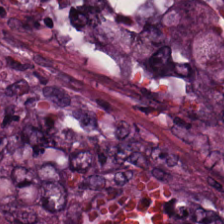H&E — Finding — tumor epithelium.
